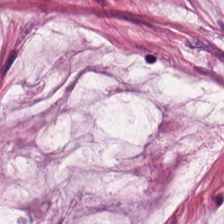H&E-stained tissue section · brightfield microscopy.
Q: What tissue type is shown here?
A: The field shows mucin.
